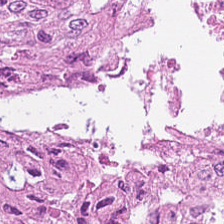Hematoxylin and eosin; 0.5 µm/px. Histology → malignant epithelium.
